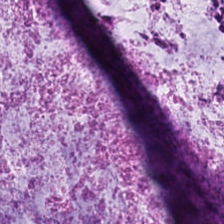H&E stain.
This patch shows extracellular mucin.
